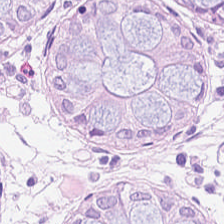Stain: H&E.
Acquisition: brightfield microscopy.
Tissue: normal colon mucosa.
